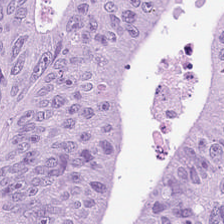H&E-stained tissue section. Tumor epithelium.
